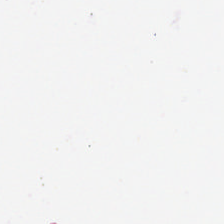H&E. Classification = background (no tissue).
